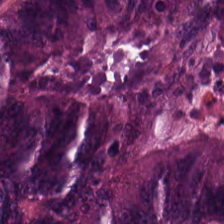This patch shows malignant epithelium.
